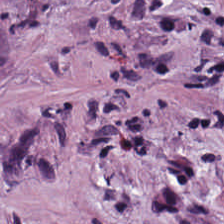Hematoxylin-and-eosin stained section.
Impression — tumor stroma.
